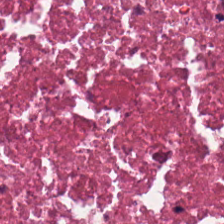Hematoxylin-and-eosin stained section.
Classification: necrotic debris.
